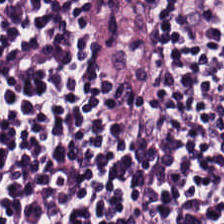The predominant tissue is lymphocyte aggregate.
